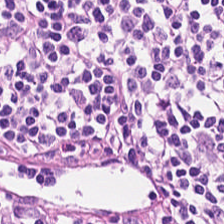Tissue — lymphocyte aggregate.
